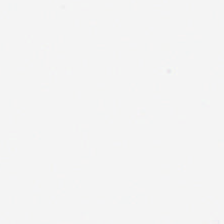Brightfield microscopy. H&E-stained tissue section — Q: Classify this patch.
A: This is no tissue.
